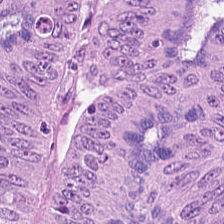Hematoxylin-and-eosin stained section. Brightfield. 224×224 px tile — The predominant tissue is malignant epithelium.
